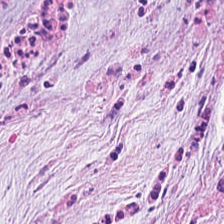H&E. Tissue class — tumor-associated stroma.
